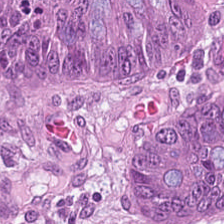H&E-stained tissue section — The tissue here is adenocarcinoma.
